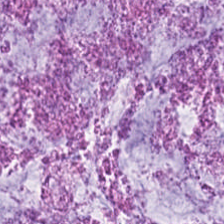Hematoxylin and eosin.
Mucus.
